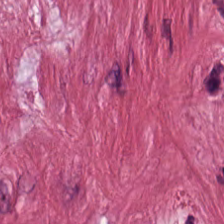Whole-slide-image patch; H&E-stained tissue section; 224×224 pixel tile.
Tissue = desmoplastic stroma.
